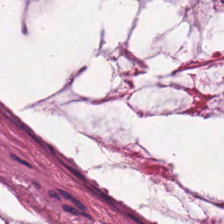Whole-slide-image patch; H&E-stained tissue section; 0.5 µm/px — Tissue type: extracellular mucin.
